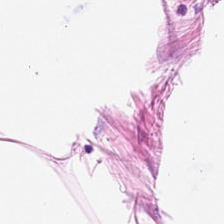Hematoxylin-and-eosin stained section.
Predominant tissue: adipose.
